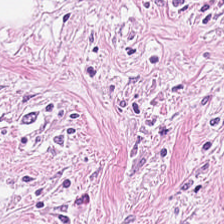Hematoxylin-and-eosin stained section. This field is desmoplastic stroma.
